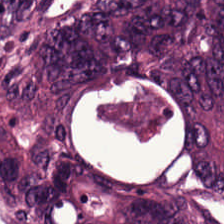Showing tumor epithelium.
